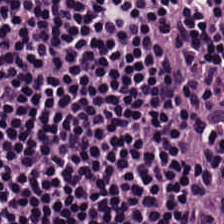Impression — lymphocytic infiltrate.
